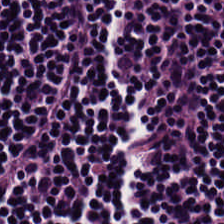Hematoxylin-and-eosin stained section · 224×224 px patch. This patch shows lymphoid infiltrate.
